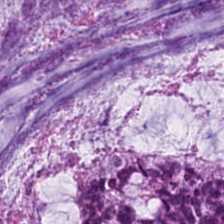{"tissue_type": "mucus"}
